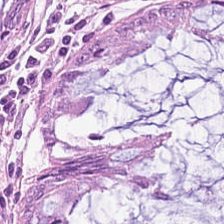Brightfield microscopy; H&E-stained tissue section — Q: What tissue is shown?
A: It is normal colon mucosa.
